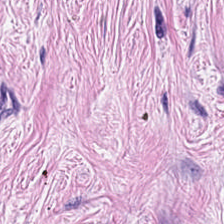Hematoxylin-and-eosin stained section. The classification is tumor stroma.
